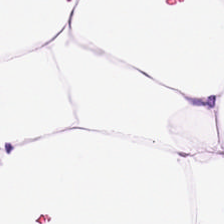224×224 pixel tile. 0.5 µm/px. H&E-stained tissue section — Q: What type of tissue is this?
A: Adipocytes.
